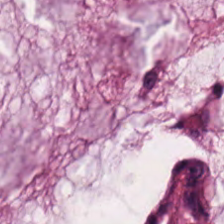Hematoxylin and eosin — The classification is extracellular mucin.
